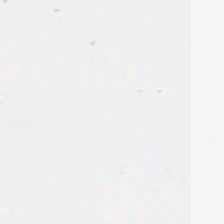Q: What is shown here?
A: The field shows empty background.
